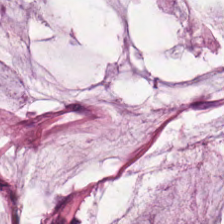Hematoxylin and eosin.
Q: What is shown in this field?
A: It is extracellular mucin.
